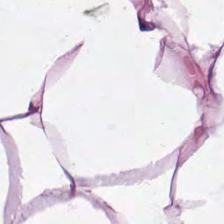Stain: hematoxylin and eosin.
Tissue class: fat tissue.
